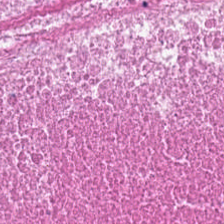Q: What is the predominant tissue type?
A: Cellular debris.
